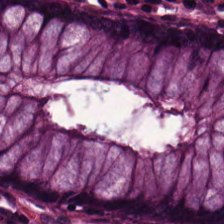H&E stain — Impression → benign colonic mucosa.
